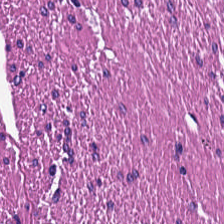0.5 µm/px · hematoxylin-and-eosin stained section · 224×224 px patch.
Impression — muscularis.
